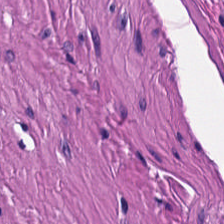Hematoxylin and eosin — Finding — smooth muscle.
